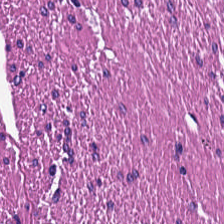H&E stain. FFPE. This field is smooth-muscle tissue.
